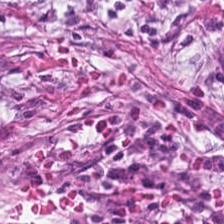Tissue class: tumor-associated stroma.
